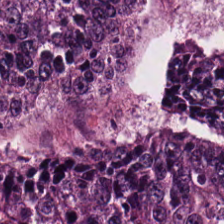H&E stain; 0.5 µm per pixel; brightfield microscopy — Predominantly adenocarcinoma.
